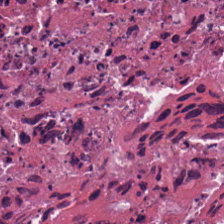Brightfield microscopy. H&E. 224×224 pixel tile.
The tissue is debris.
